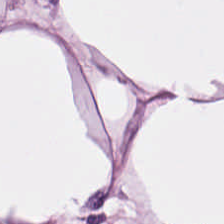H&E stain.
The tissue is adipose.
